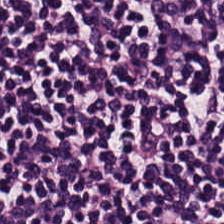Hematoxylin and eosin — Predominant tissue — lymphoid infiltrate.
